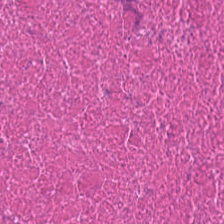Q: What is shown here?
A: The field shows debris.
